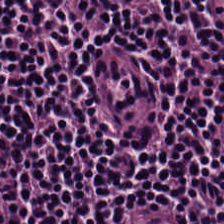Hematoxylin and eosin · brightfield microscopy — Predominantly lymphocyte aggregate.
